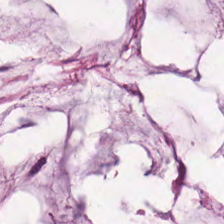Hematoxylin and eosin. This patch shows mucus.
